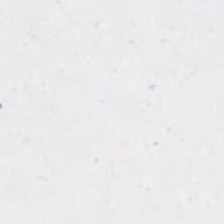Hematoxylin and eosin.
Content: no tissue.
